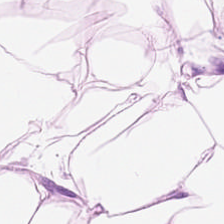Hematoxylin-and-eosin stained section — Predominantly adipocytes.
